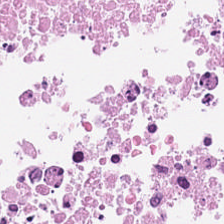The tissue here is debris.
